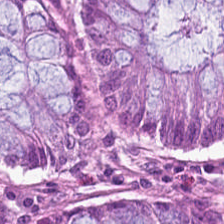224×224 px patch · hematoxylin-and-eosin stained section. {"tissue_type": "non-neoplastic colon mucosa"}
